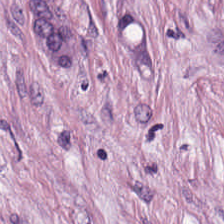Stain: hematoxylin and eosin.
Tissue class: desmoplastic stroma.
